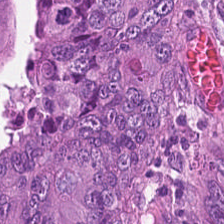WSI patch. H&E-stained tissue section — This patch shows colorectal adenocarcinoma epithelium.
